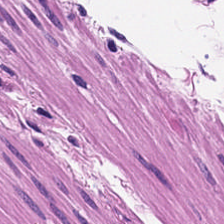Hematoxylin-and-eosin stained section; 224×224 px tile; 0.5 µm/px — Tissue class: smooth-muscle tissue.
